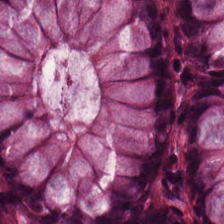Hematoxylin-and-eosin stained section. Q: Classify this patch.
A: It is non-neoplastic colon mucosa.
